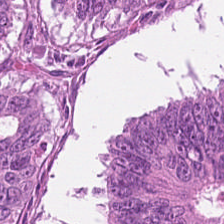Hematoxylin-and-eosin stained section. Predominantly adenocarcinoma.
